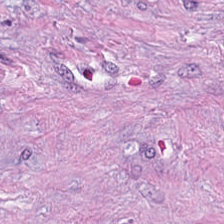Hematoxylin and eosin.
Tissue type: desmoplastic stroma.
